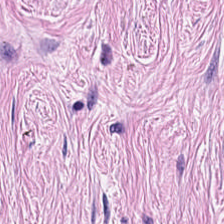H&E — Q: Classify this patch.
A: Tumor-associated stroma.
